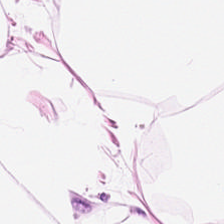H&E · 224×224 px tile. Tissue class: fat tissue.
